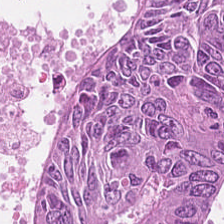Whole-slide-image patch; H&E.
The classification is colorectal adenocarcinoma.
